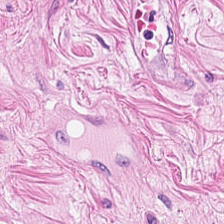Classification: muscularis.
